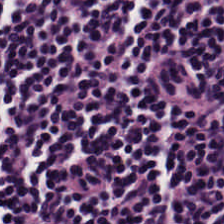Predominant tissue: lymphocyte aggregate.
